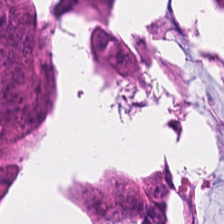Q: What is shown here?
A: It is tumor epithelium.
